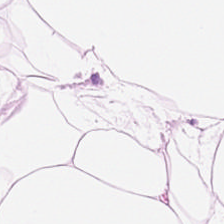H&E. Showing adipose tissue.
